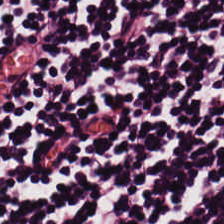H&E — The predominant tissue is lymphoid infiltrate.
